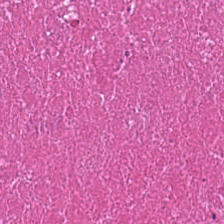The tissue is debris.
